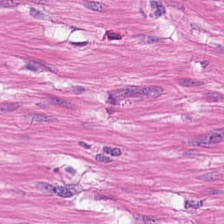Stain: H&E stain.
Acquisition: brightfield microscopy.
Resolution: 20× equivalent magnification.
Tissue type: smooth muscle.
